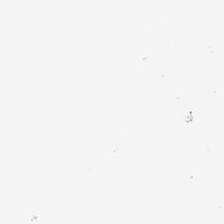Brightfield; hematoxylin-and-eosin stained section; 224×224 px tile. Background — no tissue in this field.
